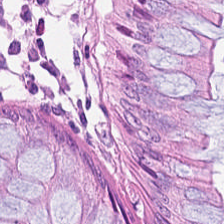H&E-stained tissue section.
Q: What tissue is shown?
A: The field shows normal colon mucosa.
